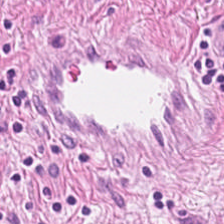H&E. Q: What is shown here?
A: The field shows smooth muscle.
